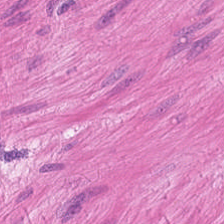Hematoxylin-and-eosin stained section. Brightfield. FFPE tissue section — Q: What tissue is shown?
A: This is smooth muscle.
